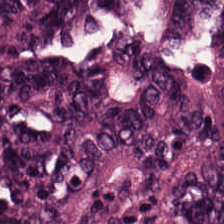Hematoxylin and eosin — Tissue class — colorectal adenocarcinoma epithelium.
